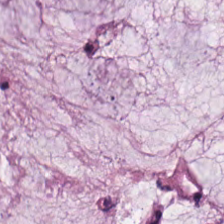H&E-stained tissue section.
The predominant tissue is extracellular mucin.
